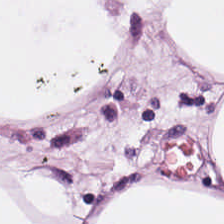The tissue class is adipose.
